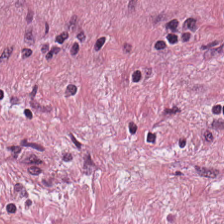H&E stain — Histology — tumor stroma.
